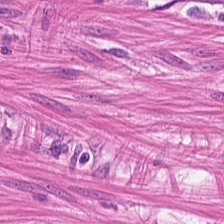H&E-stained tissue section.
The tissue here is smooth muscle.
